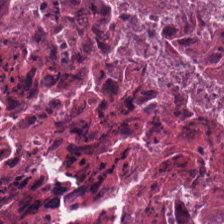{"tissue_type": "debris"}
